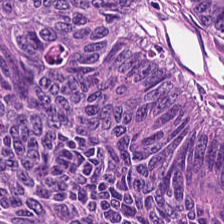Hematoxylin-and-eosin stained section — Q: What is the predominant tissue type?
A: The field shows tumor epithelium.
